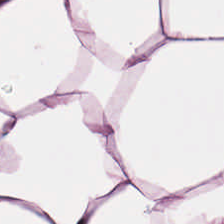Adipose.
